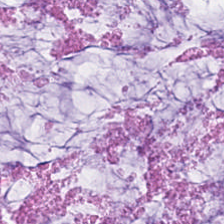H&E-stained tissue section — Histology — extracellular mucin.
